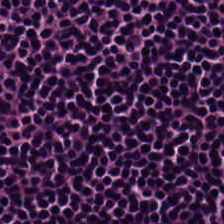H&E-stained tissue section — Lymphocyte aggregate.
